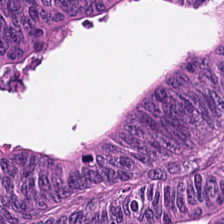Formalin-fixed paraffin-embedded section. H&E stain — Q: Identify the tissue.
A: This is colorectal adenocarcinoma epithelium.
